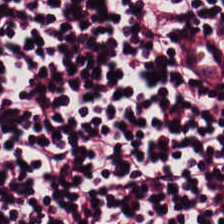0.5 microns per pixel; H&E-stained tissue section. Impression → lymphocytic infiltrate.
